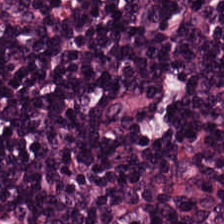H&E-stained tissue section. Formalin-fixed paraffin-embedded section. 224×224 pixel tile.
Classification = lymphocyte aggregate.
